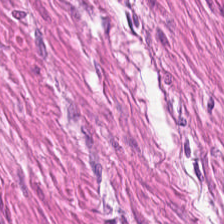Hematoxylin and eosin. Formalin-fixed paraffin-embedded section. Q: What is shown in this field?
A: Smooth-muscle tissue.
